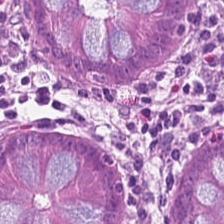{"tissue_type": "non-neoplastic colon mucosa"}
